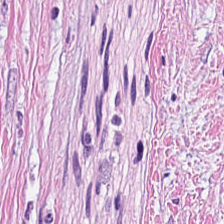224×224 px patch. 0.5 µm per pixel. Hematoxylin-and-eosin stained section.
Q: Identify the tissue.
A: This is tumor-associated stroma.
